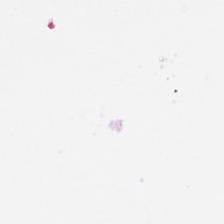Stain: hematoxylin and eosin.
Preparation: FFPE tissue section.
Classification: no tissue.
